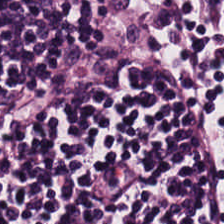H&E-stained tissue section. Showing lymphocytes.
